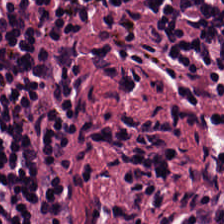Q: What is shown here?
A: It is lymphocytic infiltrate.
